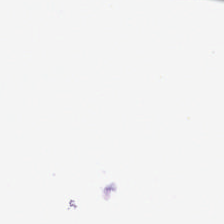H&E stain. Formalin-fixed paraffin-embedded section. WSI patch — Classification — no tissue.
